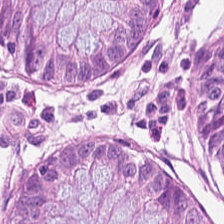Stain: H&E-stained tissue section.
Tissue: non-neoplastic colon mucosa.
